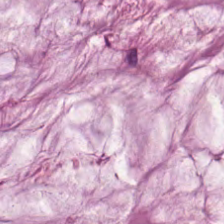Hematoxylin-and-eosin stained section. This field is extracellular mucin.
